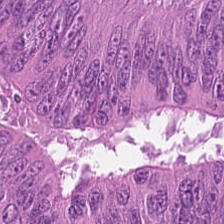Stain: H&E.
Preparation: FFPE tissue section.
Tissue: malignant epithelium.
